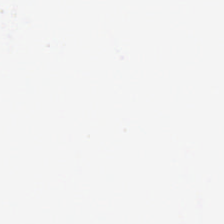H&E — Classification = empty background.
